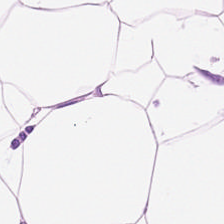Stain: hematoxylin-and-eosin stained section.
Predominant tissue: adipocytes.
